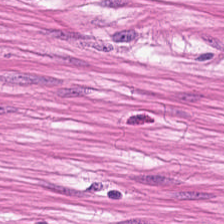Hematoxylin and eosin · 224×224 px patch. Tissue type = smooth-muscle tissue.
